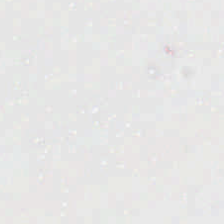This field is background (no tissue).
